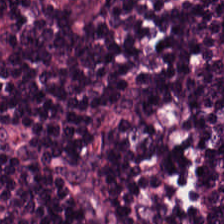The predominant tissue is lymphocytic infiltrate.
